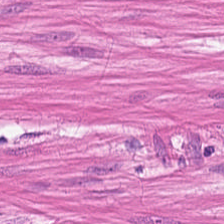Stain: H&E-stained tissue section.
Tissue type: smooth-muscle tissue.
